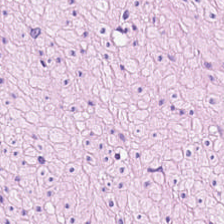Hematoxylin and eosin. Tissue class — smooth-muscle tissue.
